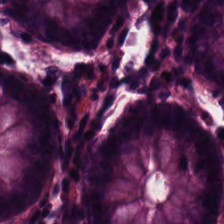H&E-stained tissue section showing normal colonic mucosa.
